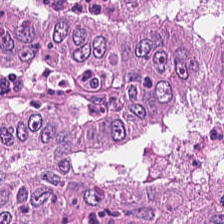Hematoxylin and eosin.
Showing tumor epithelium.
